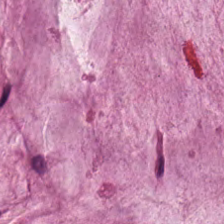H&E.
Predominantly mucin.
